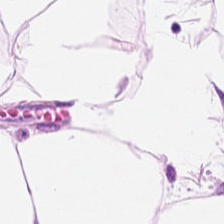H&E stain. Tissue: fat tissue.
